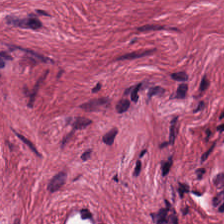Stain: H&E-stained tissue section.
Acquisition: whole-slide-image patch.
Tissue: tumor-associated stroma.
